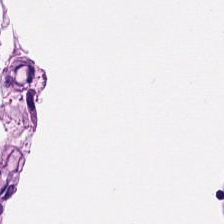H&E-stained tissue section. FFPE.
Smooth muscle.
